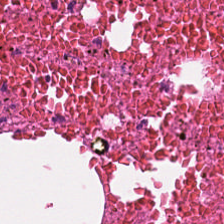Stain: hematoxylin and eosin.
Tissue class: necrotic debris.
